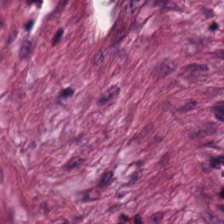Hematoxylin-and-eosin stained section. This patch shows desmoplastic stroma.
